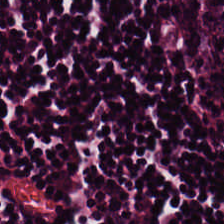H&E-stained tissue section.
Predominant tissue: lymphocyte aggregate.
